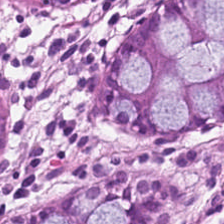H&E. 20× equivalent magnification — The classification is benign colonic mucosa.
